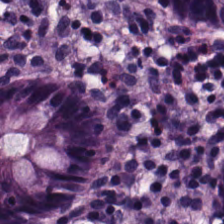H&E stain — Benign colonic mucosa.
